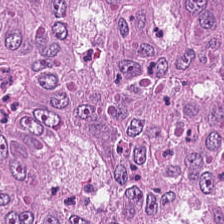Stain: H&E.
Tissue: tumor epithelium.
